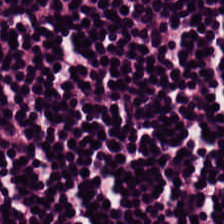Hematoxylin and eosin; FFPE tissue section; WSI patch. Predominantly lymphocytic infiltrate.
